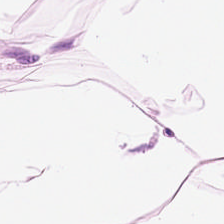FFPE · H&E stain — Tissue type = adipose tissue.
